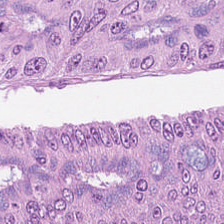Whole-slide-image patch · H&E · FFPE tissue section — The tissue class is colorectal adenocarcinoma epithelium.
